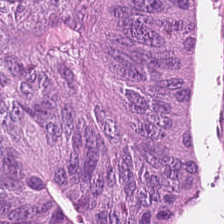Stain: H&E stain.
Predominant tissue: colorectal adenocarcinoma.
